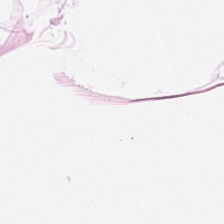Q: What tissue is shown?
A: Adipose tissue.
